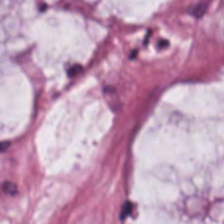Hematoxylin-and-eosin stained section — Q: What type of tissue is this?
A: The field shows mucin.
